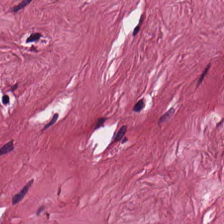0.5 µm per pixel. H&E stain. This patch shows cancer-associated stroma.
